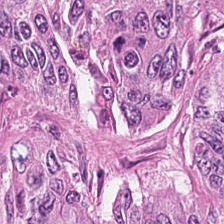Stain: H&E.
Tissue: colorectal adenocarcinoma epithelium.
